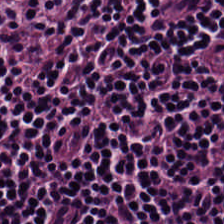Finding — lymphoid infiltrate.
